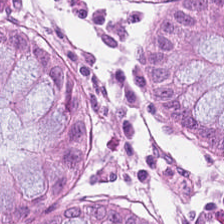Stain: hematoxylin-and-eosin stained section.
Classification: non-neoplastic colon mucosa.
